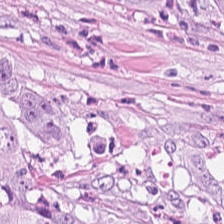Hematoxylin and eosin. Brightfield microscopy.
Showing adenocarcinoma.
